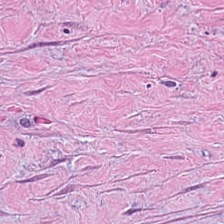H&E stain. 0.5 µm per pixel — Tissue = tumor-associated stroma.
